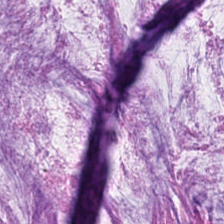H&E. This field is extracellular mucin.
